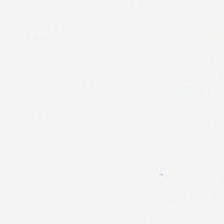H&E-stained tissue section.
No tissue present; background only.
